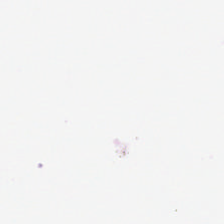H&E stain. Background — no tissue in this field.
